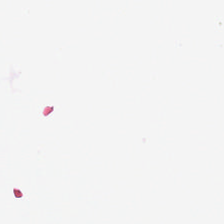H&E.
Q: Classify this patch.
A: The field shows background.
